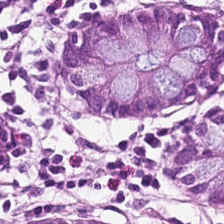Hematoxylin and eosin · 224×224 pixel tile · 0.5 microns per pixel.
This field is benign colonic mucosa.
